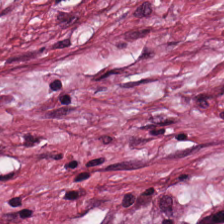Tissue — desmoplastic stroma.
